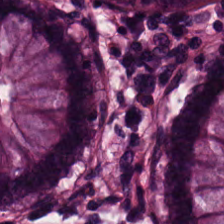H&E stain — This field is benign colonic mucosa.
